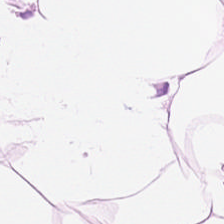Hematoxylin-and-eosin stained section; 224×224 pixel tile.
Showing adipose.
